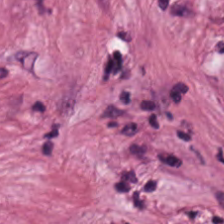H&E-stained tissue section. 224×224 px patch. 0.5 µm per pixel — Showing desmoplastic stroma.
